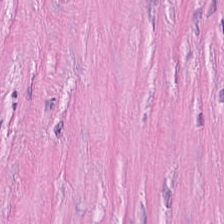Hematoxylin-and-eosin stained section — The tissue here is desmoplastic stroma.
